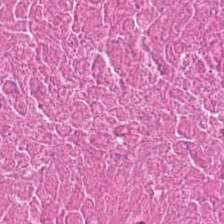H&E.
This patch shows debris.
